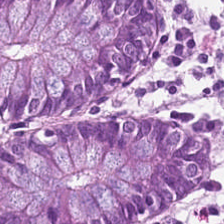H&E — Predominant tissue — normal colonic mucosa.
